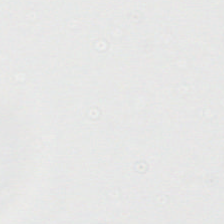Q: What does this patch show?
A: Background (no tissue).
